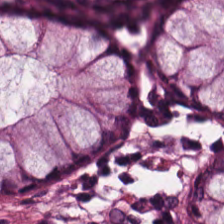Brightfield; 224×224 px tile; hematoxylin-and-eosin stained section.
This patch shows non-neoplastic colon mucosa.
